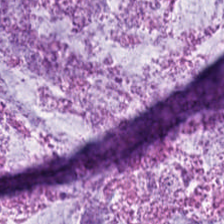H&E-stained section; the field shows extracellular mucin.
